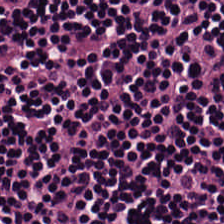The predominant tissue is lymphocytes.
